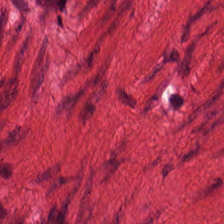H&E.
Muscularis.
